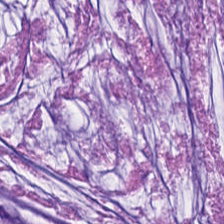H&E patch showing mucus.
